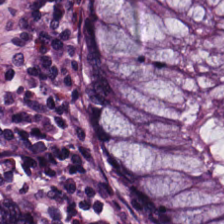Hematoxylin-and-eosin stained section — Showing normal colon mucosa.
